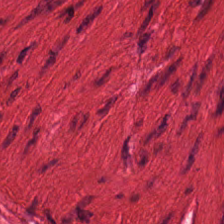Hematoxylin-and-eosin stained section; 20× equivalent magnification — This field is smooth muscle.
